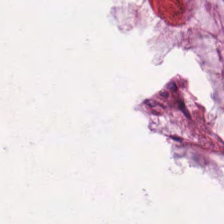Finding → mucin.
